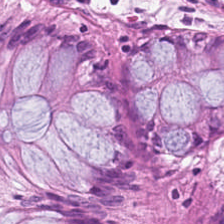Stain: H&E stain.
Resolution: 20× equivalent magnification.
Tile size: 224×224 pixel tile.
Classification: benign colonic mucosa.
